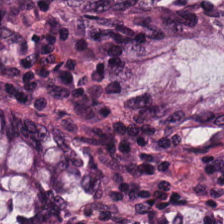Tissue class = normal colon mucosa.
